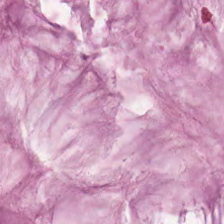H&E — This patch shows extracellular mucin.
